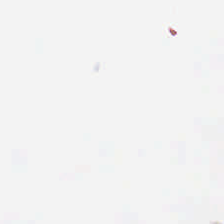H&E-stained tissue section; 224×224 pixel tile — Background — no tissue in this field.
